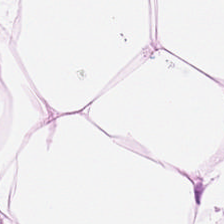H&E. FFPE — Tissue type — adipocytes.
